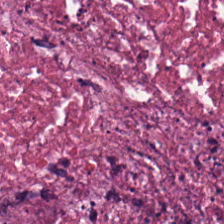Hematoxylin-and-eosin stained section — Showing debris.
